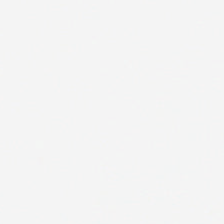H&E. {"content": "background (no tissue)"}
